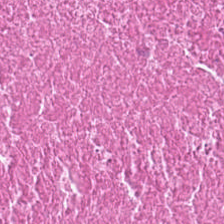H&E-stained tissue section.
Q: Identify the tissue.
A: Cellular debris.
